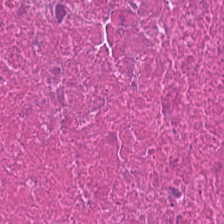FFPE tissue section. H&E.
This field is cellular debris.
